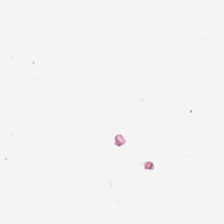Hematoxylin-and-eosin stained section. Empty background.
